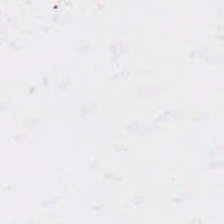Hematoxylin-and-eosin stained section.
Field content — background (no tissue).
